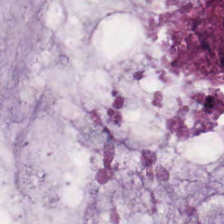224×224 px tile. Formalin-fixed paraffin-embedded section. H&E.
Q: What does this patch show?
A: Mucus.
